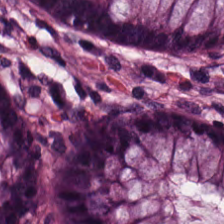Tissue type: benign colonic mucosa.
